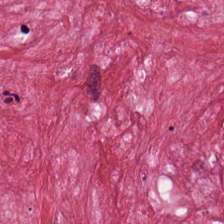Predominantly desmoplastic stroma.
